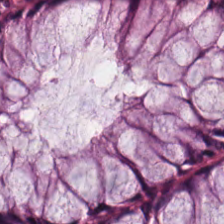H&E stain.
Q: What is shown here?
A: The field shows normal colon mucosa.
